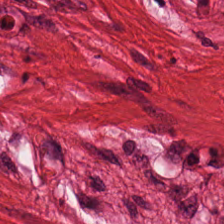Muscularis.
